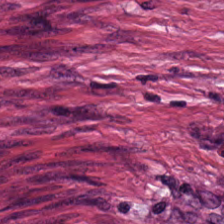H&E-stained tissue section.
This patch shows tumor-associated stroma.
